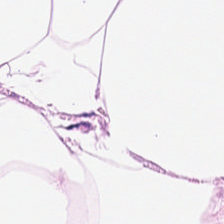Showing adipocytes.
